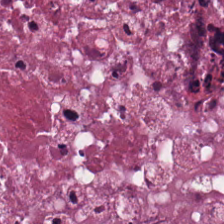H&E. 224×224 pixel tile — Showing necrotic debris.
